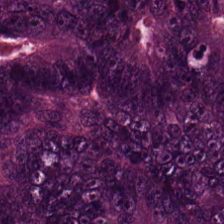H&E. Formalin-fixed paraffin-embedded section. Malignant epithelium.
